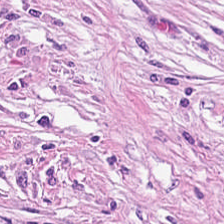Tissue type: tumor stroma.
